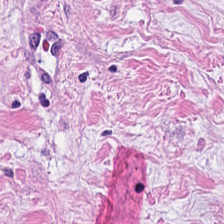Stain: hematoxylin-and-eosin stained section.
Acquisition: WSI patch.
Tissue class: desmoplastic stroma.
